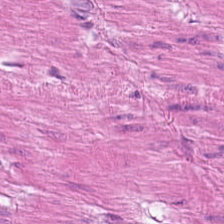Hematoxylin and eosin — This patch shows smooth-muscle tissue.
